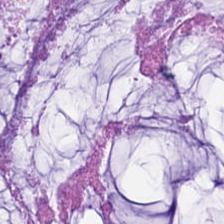H&E-stained tissue section. Impression → extracellular mucin.
